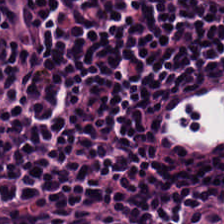H&E-stained tissue section; formalin-fixed paraffin-embedded section; WSI patch. This patch shows lymphocytic infiltrate.
